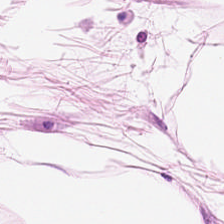Stain: H&E stain.
Classification: adipose tissue.
